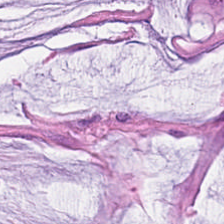Hematoxylin-and-eosin stained section — The classification is extracellular mucin.
